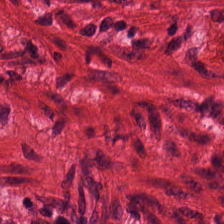Finding → muscularis.
